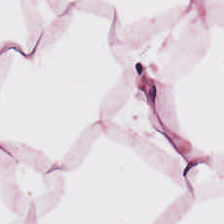Hematoxylin and eosin · 224×224 pixel tile. Histology → adipose.
